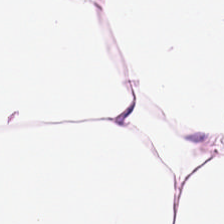H&E — Predominantly adipose tissue.
